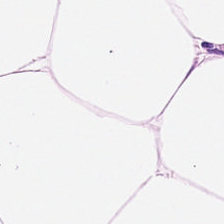H&E; 224×224 px patch.
Tissue = adipose tissue.
